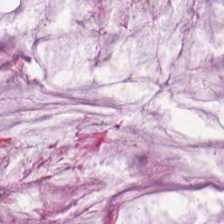H&E.
This patch shows extracellular mucin.
